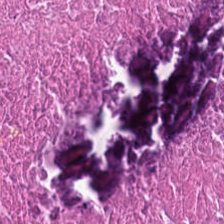This patch shows debris.
